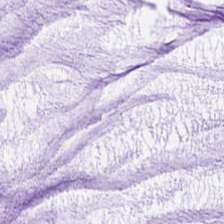{"tissue_type": "mucus"}
